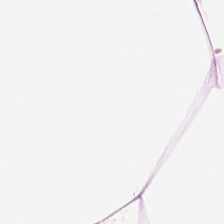H&E-stained tissue section.
The tissue is adipose.
